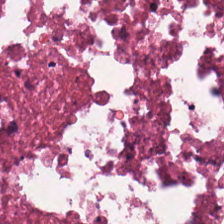Stain: H&E stain.
Tissue: cellular debris.
